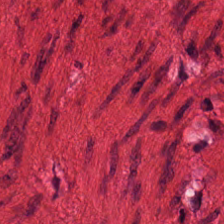Q: Identify the tissue.
A: This is smooth muscle.
